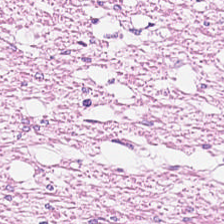H&E stain. The tissue type is muscularis.
